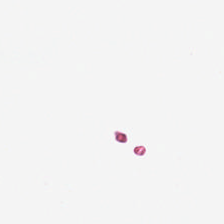H&E — {"content": "empty background"}
